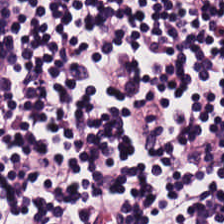Tissue: lymphocyte aggregate.
